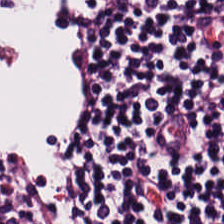H&E — This field is lymphocytic infiltrate.
